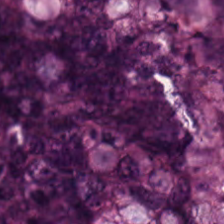Brightfield; H&E-stained tissue section — {"tissue_type": "malignant epithelium"}
